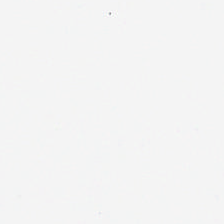H&E stain. Content: no tissue.
